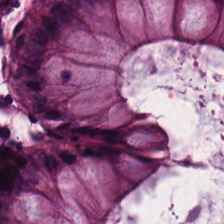Predominant tissue: benign colonic mucosa.
